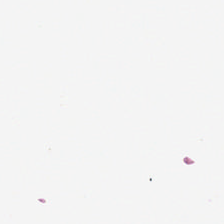H&E stain · FFPE tissue section. Q: Classify this patch.
A: The field shows background.
